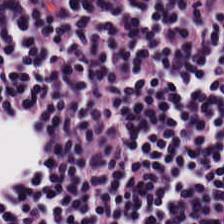224×224 pixel tile; H&E-stained tissue section; WSI patch — This patch shows lymphocytic infiltrate.
